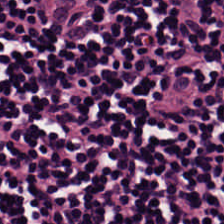H&E.
Lymphocyte aggregate.
